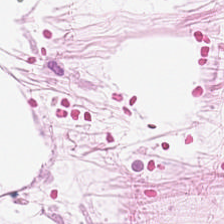FFPE tissue section. H&E stain. 224×224 pixel tile — Predominantly adipose tissue.
